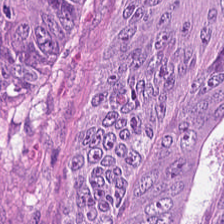Stain: H&E-stained tissue section.
Preparation: FFPE.
Tissue: colorectal adenocarcinoma.
